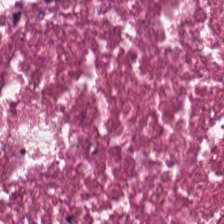Hematoxylin-and-eosin stained section. Showing necrotic debris.
